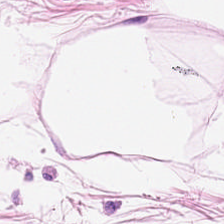Hematoxylin-and-eosin stained section. The classification is adipocytes.
